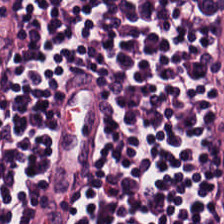Classification — lymphocytes.
